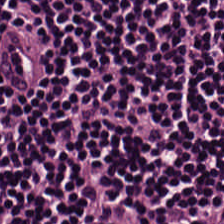224×224 pixel tile. Formalin-fixed paraffin-embedded section. Hematoxylin-and-eosin stained section.
Lymphocyte aggregate.
